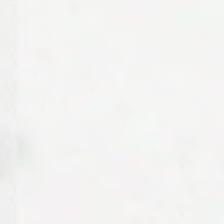H&E · brightfield microscopy. Content = empty background.
